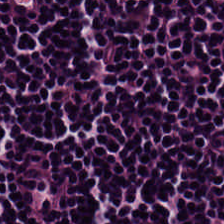Hematoxylin and eosin.
Q: What tissue type is shown here?
A: It is lymphocytes.
